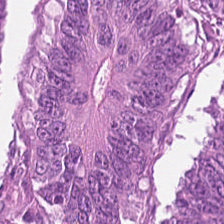H&E stain — Tissue class — colorectal adenocarcinoma epithelium.
